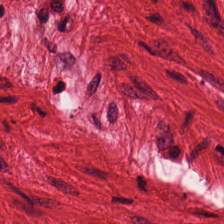Q: What does this patch show?
A: It is muscularis.
